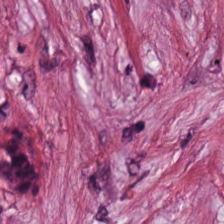WSI patch; H&E-stained tissue section.
This field is tumor stroma.
